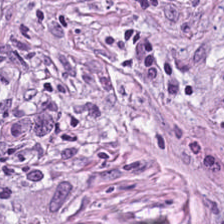Predominantly tumor-associated stroma.
